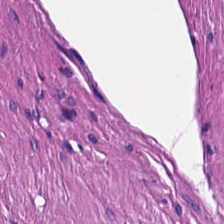Hematoxylin-and-eosin stained section. Formalin-fixed paraffin-embedded section. This field is muscularis.
